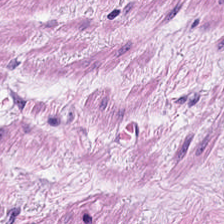H&E stain.
Predominantly smooth-muscle tissue.
